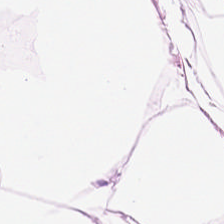Predominantly fat tissue.
